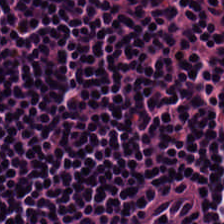Q: What is the predominant tissue type?
A: This is lymphocyte aggregate.
